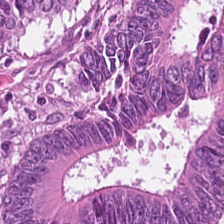Hematoxylin and eosin.
The predominant tissue is colorectal adenocarcinoma epithelium.
